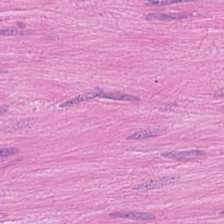Hematoxylin and eosin; 224×224 px tile. The predominant tissue is smooth muscle.
